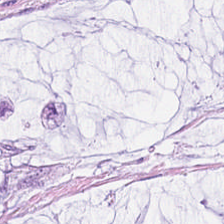Hematoxylin and eosin — The classification is mucus.
